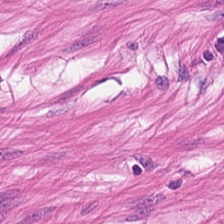FFPE · H&E stain.
Predominantly muscularis.
